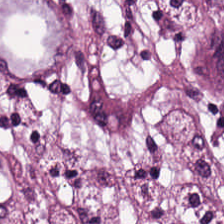Classification — tumor-associated stroma.
